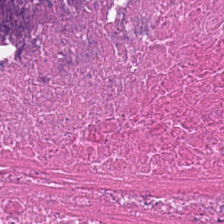Hematoxylin and eosin. Tissue class — cellular debris.
